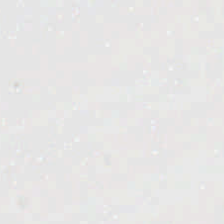Histology → empty background.
